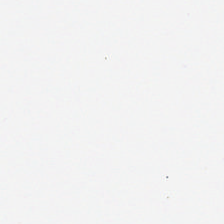This patch shows empty background.
